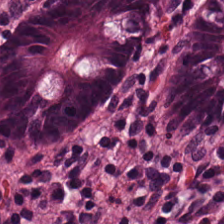Whole-slide-image patch; hematoxylin and eosin; 224×224 px tile.
Classification = normal colonic mucosa.
